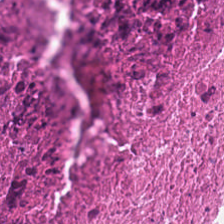Q: Classify this patch.
A: The field shows necrotic debris.
